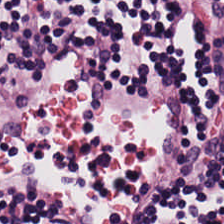H&E — Tissue = lymphoid infiltrate.
